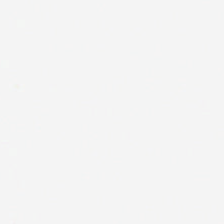224×224 pixel tile; hematoxylin and eosin.
The content is background (no tissue).
